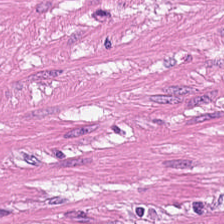WSI patch · 0.5 µm per pixel · H&E stain.
Predominantly muscularis.
